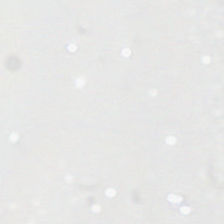H&E. Field content: no tissue.
